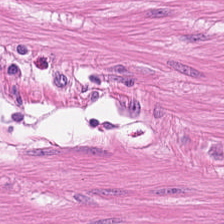Q: Identify the tissue.
A: This is smooth-muscle tissue.
